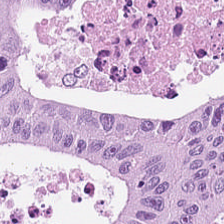WSI patch; FFPE; H&E.
Q: Classify this patch.
A: It is colorectal adenocarcinoma.
